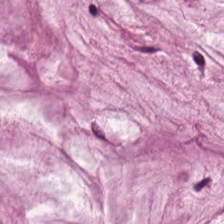0.5 µm per pixel · H&E stain · 224×224 px tile. Predominant tissue — mucus.
